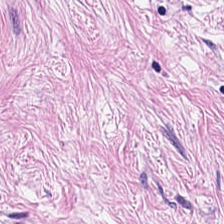Hematoxylin-and-eosin stained section. Classification: tumor stroma.
